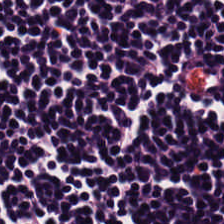Hematoxylin-and-eosin stained section. 0.5 µm/px. 224×224 pixel tile. The predominant tissue is lymphocyte aggregate.
